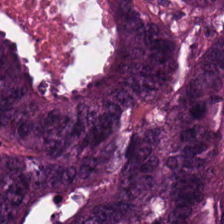H&E.
Predominant tissue: adenocarcinoma.
